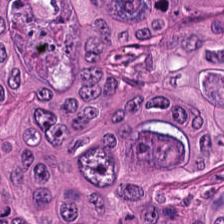Formalin-fixed paraffin-embedded section. Hematoxylin and eosin — {"tissue_type": "colorectal adenocarcinoma epithelium"}
